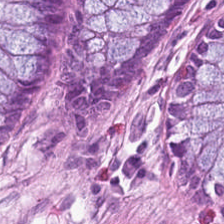Non-neoplastic colon mucosa.
